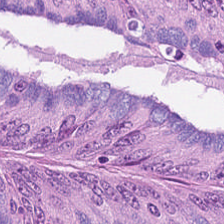H&E-stained section; the field shows colorectal adenocarcinoma.
